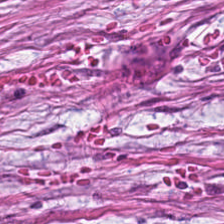Hematoxylin and eosin.
The predominant tissue is cancer-associated stroma.
